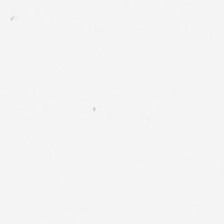Hematoxylin and eosin — Content: background.
